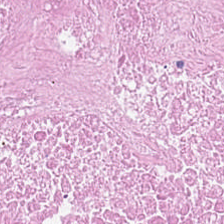H&E-stained tissue section; whole-slide-image patch — Tissue class: necrotic debris.
